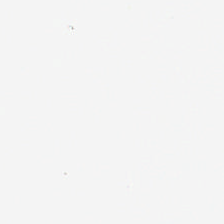FFPE; 224×224 pixel tile; H&E-stained tissue section.
Background — no tissue in this field.
